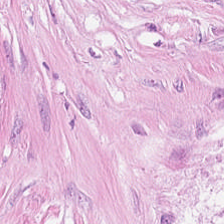Showing cancer-associated stroma.
